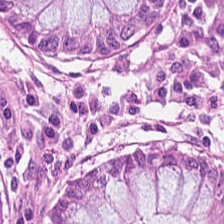0.5 µm per pixel. H&E stain.
The tissue is benign colonic mucosa.
